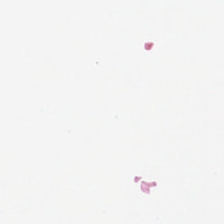FFPE tissue section. WSI patch. H&E stain.
Background — no tissue in this field.
